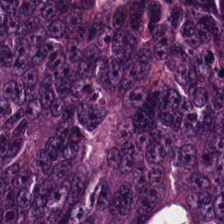Showing adenocarcinoma.
